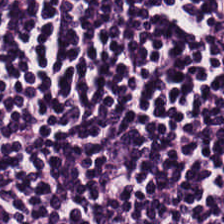Q: What does this patch show?
A: Lymphocytic infiltrate.
